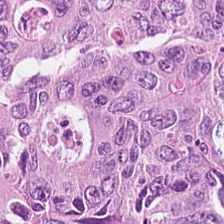Q: What is shown here?
A: This is adenocarcinoma.
